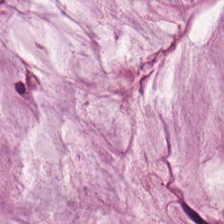Hematoxylin and eosin; 0.5 µm per pixel — This field is mucus.
